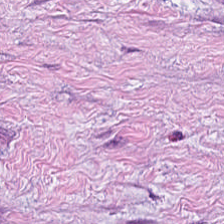H&E stain. {"tissue_type": "desmoplastic stroma"}
